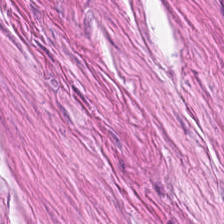Stain: H&E-stained tissue section.
Tissue class: muscularis.
